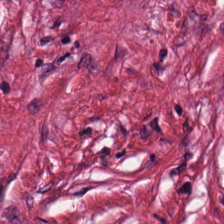Brightfield; hematoxylin-and-eosin stained section; formalin-fixed paraffin-embedded section — The predominant tissue is tumor stroma.
